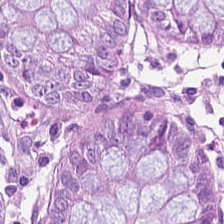Hematoxylin and eosin · 0.5 µm per pixel.
{"tissue_type": "benign colonic mucosa"}
